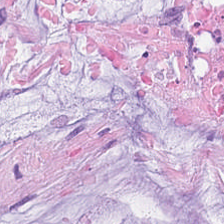Tissue type — extracellular mucin.
